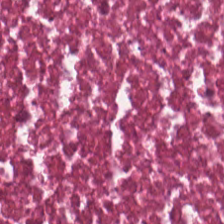Hematoxylin and eosin. Formalin-fixed paraffin-embedded section. Brightfield — Showing necrotic debris.
